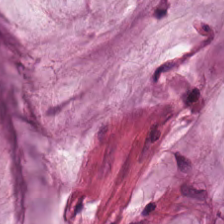Tissue type = mucus.
